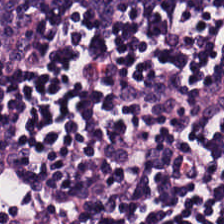{"tissue_type": "lymphocytes"}
